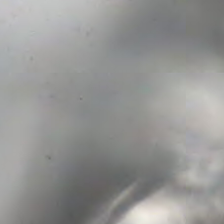FFPE tissue section. H&E-stained tissue section. 0.5 µm per pixel — This field is background (no tissue).
